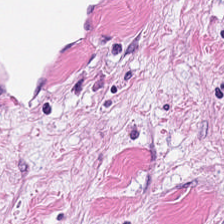Predominantly tumor-associated stroma.
